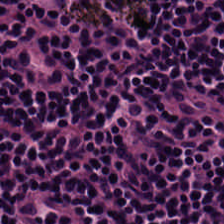Hematoxylin-and-eosin stained section — This patch shows lymphoid infiltrate.
